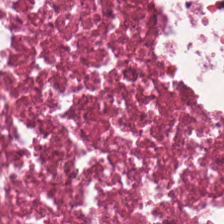Tissue class: debris.
